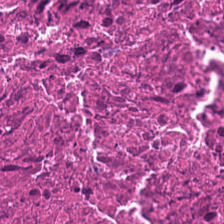Hematoxylin-and-eosin stained section.
Q: Identify the tissue.
A: It is necrotic debris.
